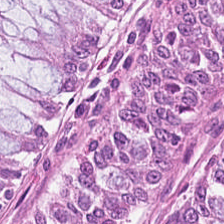H&E.
Q: What is shown here?
A: Normal colon mucosa.
